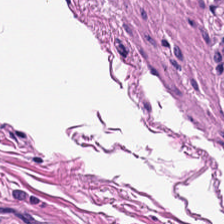Q: What is shown here?
A: It is smooth muscle.
